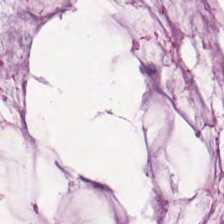20× equivalent magnification · H&E stain · brightfield microscopy — Finding — mucin.
